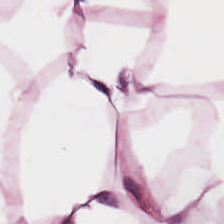Tissue type: adipose tissue.
